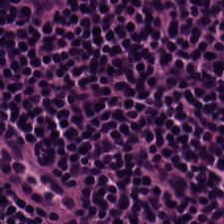H&E stain.
{"tissue_type": "lymphoid infiltrate"}
